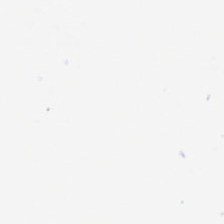H&E-stained tissue section — This field is background (no tissue).
